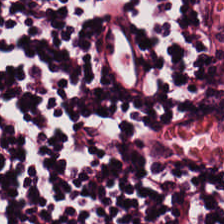Tissue class — lymphocyte aggregate.
